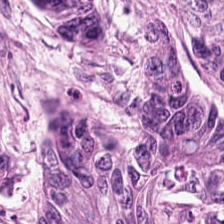Classification = malignant epithelium.
